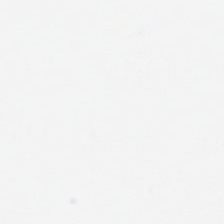Histology — no tissue.
